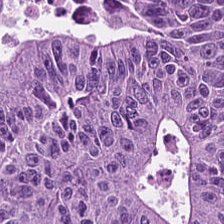FFPE; hematoxylin-and-eosin stained section — Malignant epithelium.
